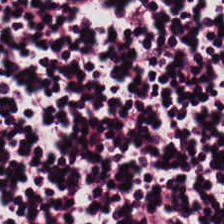Stain: hematoxylin-and-eosin stained section.
Resolution: 20× equivalent magnification.
Tissue type: lymphoid infiltrate.
